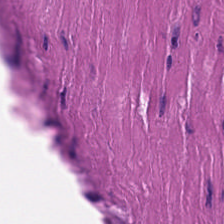Finding → muscularis.
